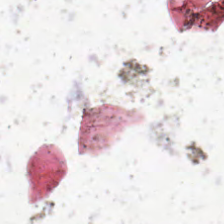Hematoxylin and eosin.
Field content = background.
